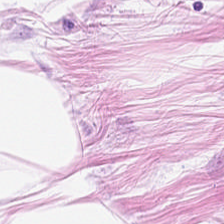224×224 pixel tile. Hematoxylin and eosin. 0.5 µm/px.
Tissue type: fat tissue.
